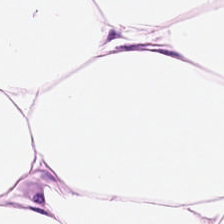Stain: H&E stain.
Predominant tissue: fat tissue.
